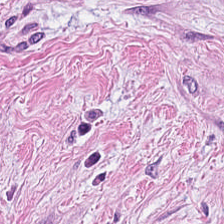Formalin-fixed paraffin-embedded section · 20× equivalent magnification · H&E-stained tissue section.
This patch shows tumor stroma.
